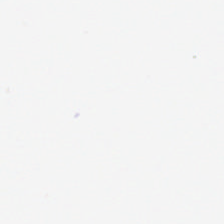H&E stain — Background (no tissue).
